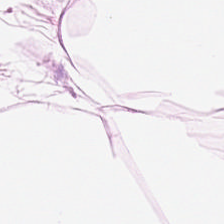H&E-stained tissue section. 0.5 microns per pixel — {"tissue_type": "adipose tissue"}
